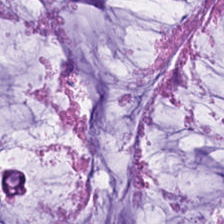Q: What is shown in this field?
A: It is mucus.
